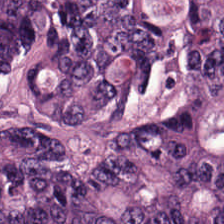H&E-stained tissue section. Showing tumor epithelium.
